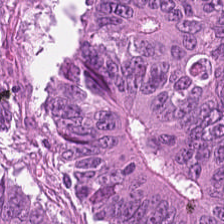Hematoxylin-and-eosin section: tumor epithelium.
